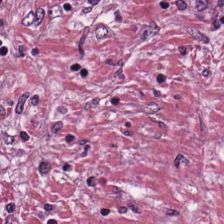H&E. 0.5 µm/px — Q: Classify this patch.
A: The field shows tumor-associated stroma.
